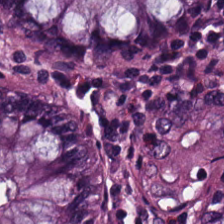Non-neoplastic colon mucosa.
